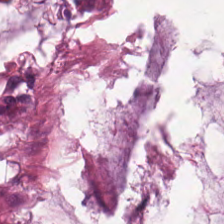Hematoxylin and eosin. Q: What is the predominant tissue type?
A: The field shows mucus.
